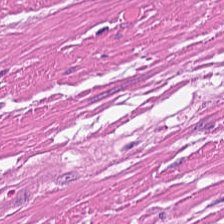Classification = smooth muscle.
